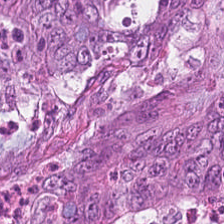Stain: H&E.
Preparation: FFPE.
Classification: colorectal adenocarcinoma epithelium.
